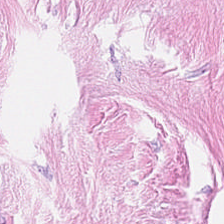Stain: hematoxylin-and-eosin stained section.
Classification: cancer-associated stroma.
